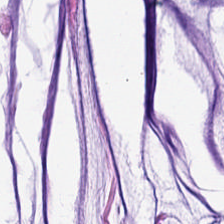224×224 pixel tile. Whole-slide-image patch. H&E-stained tissue section.
This patch shows mucin.
